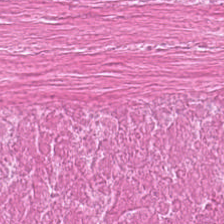H&E-stained tissue section showing cellular debris.
